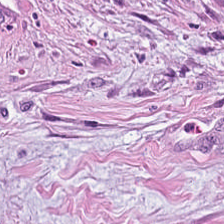Hematoxylin and eosin.
Q: Classify this patch.
A: Tumor stroma.
